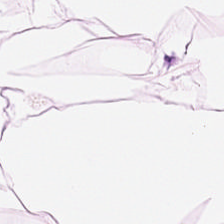Formalin-fixed paraffin-embedded section. 0.5 µm/px. Hematoxylin and eosin. Predominantly fat tissue.
